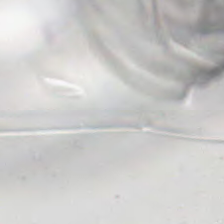Hematoxylin-and-eosin stained section — Q: What does this patch show?
A: No tissue.
